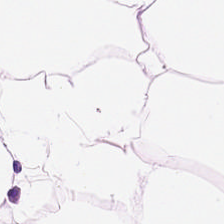H&E. 20× equivalent magnification. Finding — adipose tissue.
